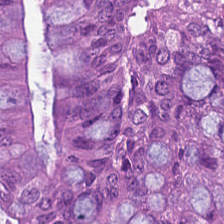This patch shows tumor epithelium.
